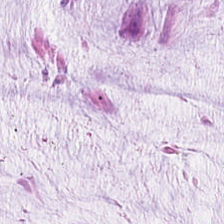H&E stain. Histology — mucus.
